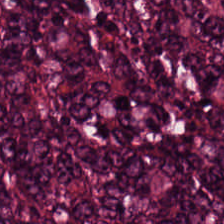Whole-slide-image patch; hematoxylin and eosin; FFPE tissue section.
Q: What is the predominant tissue type?
A: The field shows adenocarcinoma.
